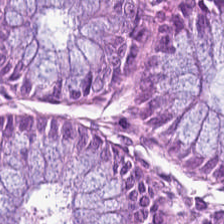{"tissue_type": "normal colonic mucosa"}
